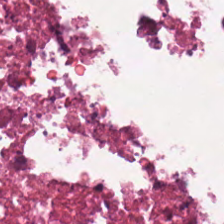Whole-slide-image patch · hematoxylin-and-eosin stained section. Predominant tissue = debris.
